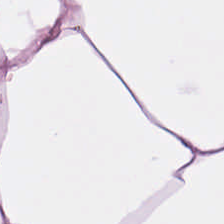H&E-stained tissue section; 224×224 px tile; brightfield microscopy.
The predominant tissue is adipose tissue.
